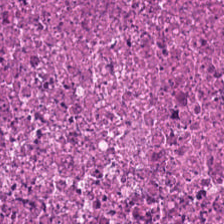Tissue type — cellular debris.
